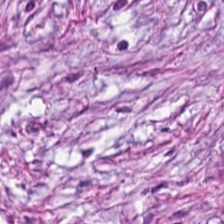H&E-stained tissue section — Predominantly tumor-associated stroma.
